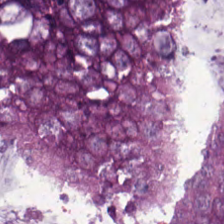Hematoxylin-and-eosin stained section. The predominant tissue is tumor epithelium.
